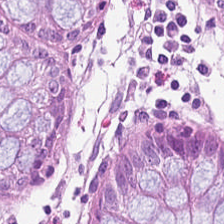Brightfield. H&E stain.
Predominant tissue = benign colonic mucosa.
